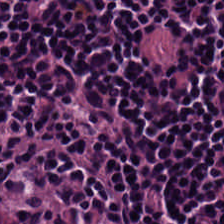Hematoxylin-and-eosin stained section; brightfield microscopy — The tissue is lymphocytic infiltrate.
